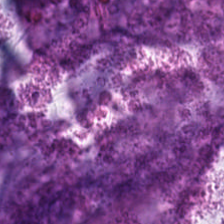Stain: hematoxylin-and-eosin stained section.
Classification: extracellular mucin.
